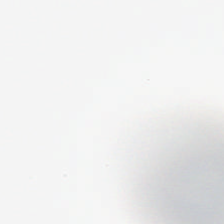Hematoxylin and eosin. Content: empty background.
